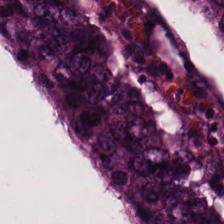Hematoxylin and eosin. 0.5 microns per pixel.
The tissue type is adenocarcinoma.
